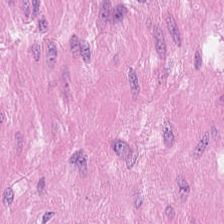The tissue here is muscularis.
